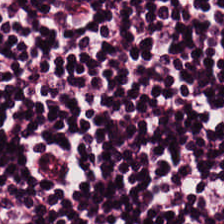FFPE; 0.5 µm/px; H&E — The classification is lymphocytic infiltrate.
